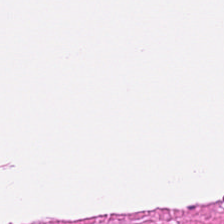Hematoxylin-and-eosin stained section; 0.5 microns per pixel. Showing smooth muscle.
